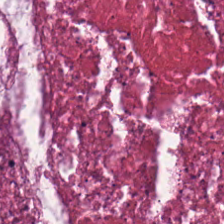224×224 pixel tile · hematoxylin-and-eosin stained section — Necrotic debris.
